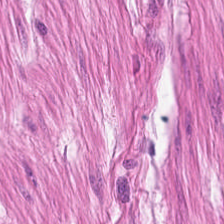H&E-stained tissue section · FFPE.
Showing muscularis.
